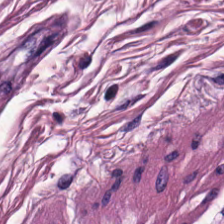H&E stain — Tissue type — smooth-muscle tissue.
